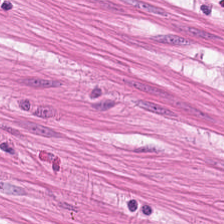0.5 microns per pixel. H&E stain — The tissue here is smooth muscle.
